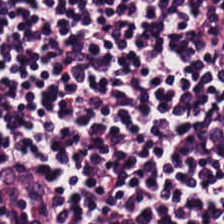Hematoxylin-and-eosin stained section. This patch shows lymphocytes.
